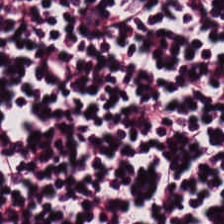H&E-stained tissue section; whole-slide-image patch. Lymphoid infiltrate.
